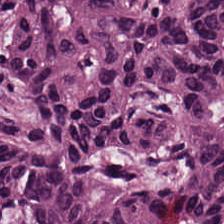FFPE tissue section. H&E-stained tissue section — {"tissue_type": "tumor epithelium"}
